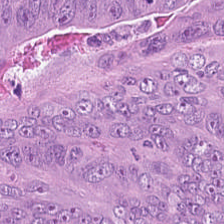H&E.
This field is colorectal adenocarcinoma.
